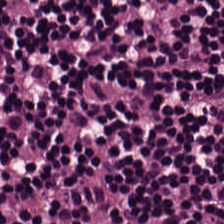Stain: hematoxylin and eosin.
Resolution: 0.5 microns per pixel.
Tile size: 224×224 px patch.
Tissue class: lymphoid infiltrate.
